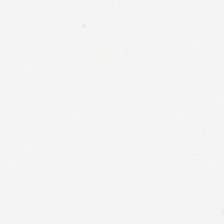This patch shows no tissue.
